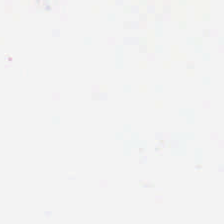224×224 px patch · 0.5 µm/px · H&E — Q: What does this patch show?
A: This is empty background.
